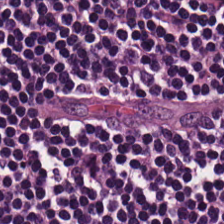Hematoxylin and eosin; FFPE tissue section.
Lymphocytes.
